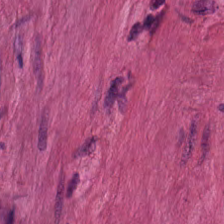Stain: H&E.
Tissue class: muscularis.
